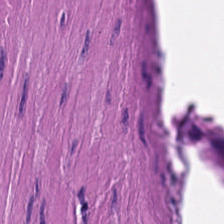Stain: hematoxylin-and-eosin stained section.
Tissue class: smooth-muscle tissue.
